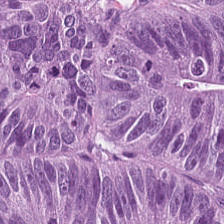20× equivalent magnification · H&E.
Finding → adenocarcinoma.
